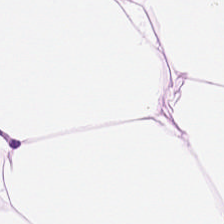Tissue: fat tissue.
